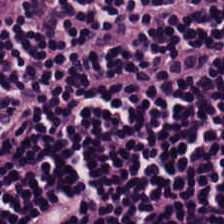H&E stain.
This field is lymphocytic infiltrate.
